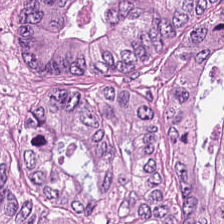H&E-stained tissue section.
Tissue type = malignant epithelium.
